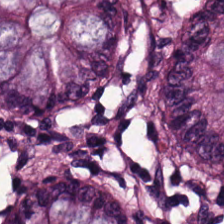0.5 microns per pixel; H&E-stained tissue section.
Tissue = normal colonic mucosa.
